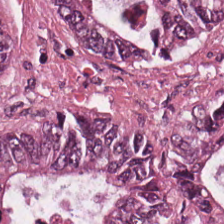H&E-stained tissue section — The predominant tissue is malignant epithelium.
